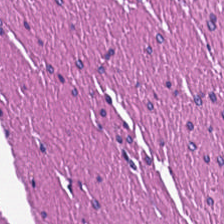H&E. FFPE tissue section. Showing smooth-muscle tissue.
